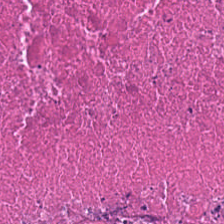Hematoxylin-and-eosin stained section. FFPE tissue section. WSI patch.
This field is debris.
